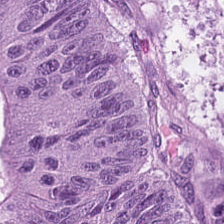0.5 microns per pixel. H&E. 224×224 px tile.
Classification — colorectal adenocarcinoma.
